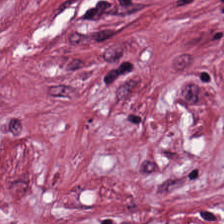Stain: H&E stain.
Classification: cancer-associated stroma.
